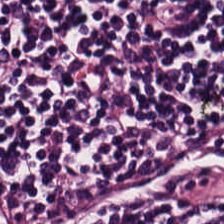H&E stain; 0.5 microns per pixel; FFPE tissue section. The classification is lymphoid infiltrate.
